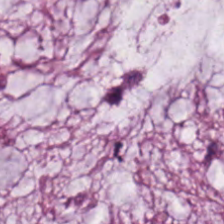224×224 pixel tile; H&E.
Q: Classify this patch.
A: This is mucin.
